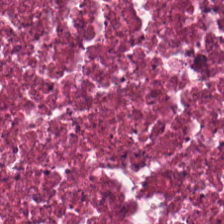Stain: hematoxylin-and-eosin stained section.
Tissue class: necrotic debris.
